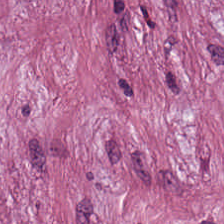The predominant tissue is cancer-associated stroma.
